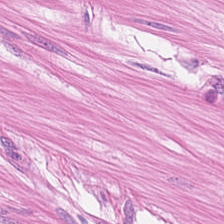Impression — smooth muscle.
